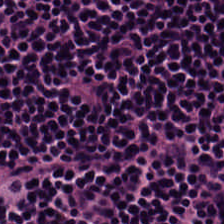Tissue = lymphocyte aggregate.
